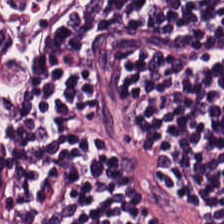Hematoxylin-and-eosin stained section. Predominantly lymphocytes.
